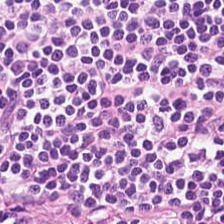Hematoxylin and eosin; 20× equivalent magnification; FFPE tissue section.
Tissue = lymphocytes.
